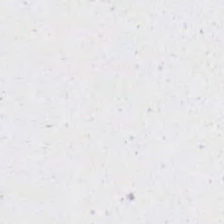Stain: H&E stain.
Content: no tissue.
